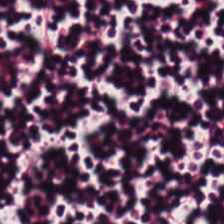H&E. 20× equivalent magnification.
Lymphocytes.
